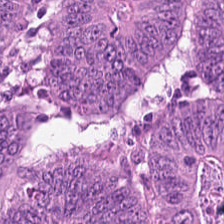Hematoxylin-and-eosin stained section — The tissue here is adenocarcinoma.
